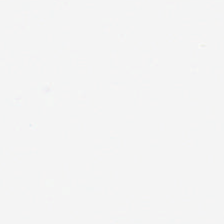H&E. Formalin-fixed paraffin-embedded section. 224×224 px tile — Background.
